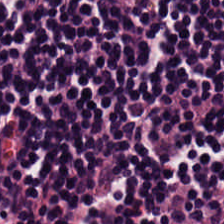H&E stain.
Finding — lymphocytic infiltrate.
